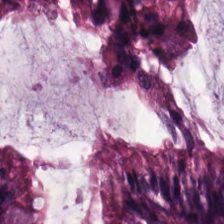H&E stain. Tissue class: non-neoplastic colon mucosa.
